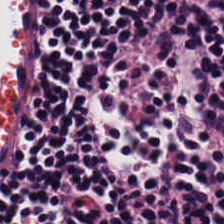WSI patch. H&E — Tissue — lymphocyte aggregate.
